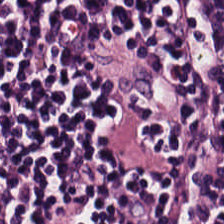224×224 pixel tile. Formalin-fixed paraffin-embedded section. H&E-stained tissue section.
{"tissue_type": "lymphocyte aggregate"}
